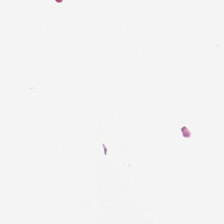Brightfield; hematoxylin-and-eosin stained section.
Background — no tissue in this field.
